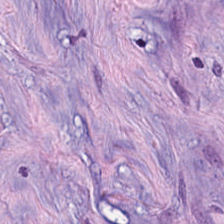Hematoxylin and eosin — The tissue here is tumor stroma.
